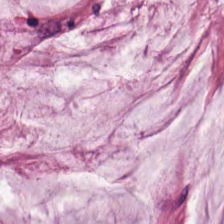H&E-stained tissue section showing mucus.
